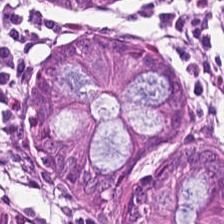H&E-stained tissue section. Q: Classify this patch.
A: This is non-neoplastic colon mucosa.
